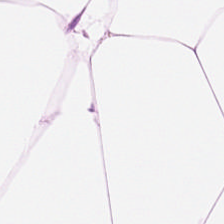WSI patch; H&E.
Impression → fat tissue.
